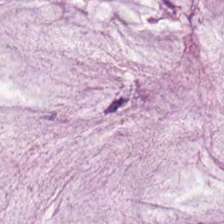Hematoxylin and eosin. Impression — extracellular mucin.
